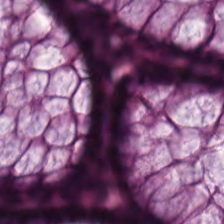The predominant tissue is normal colon mucosa.
